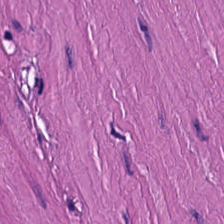Hematoxylin and eosin.
Predominant tissue = muscularis.
